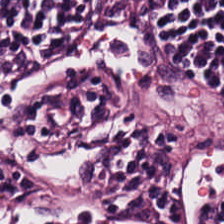Q: What does this patch show?
A: This is lymphoid infiltrate.
